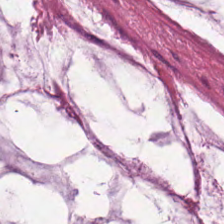The tissue here is mucus.
